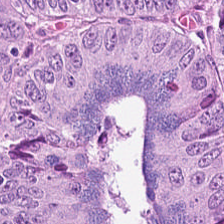The tissue here is malignant epithelium.
